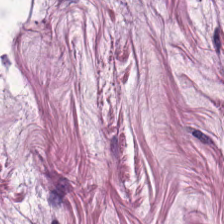H&E patch showing muscularis.
